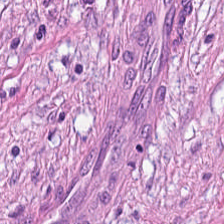Q: What tissue type is shown here?
A: It is desmoplastic stroma.
